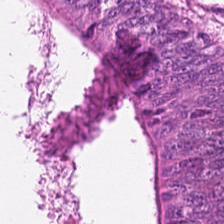Hematoxylin and eosin; FFPE tissue section — The predominant tissue is colorectal adenocarcinoma epithelium.
